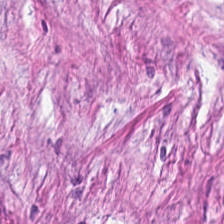Classification — tumor stroma.
